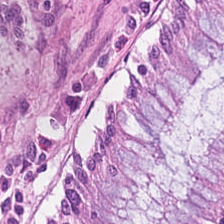Hematoxylin-and-eosin stained section; whole-slide-image patch. The predominant tissue is non-neoplastic colon mucosa.
